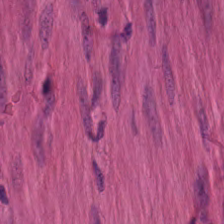Classification: smooth muscle.
